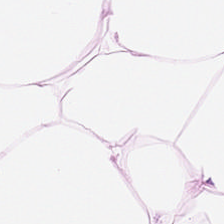Predominantly fat tissue.
